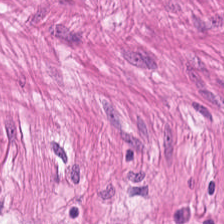FFPE; hematoxylin and eosin. Predominantly smooth muscle.
